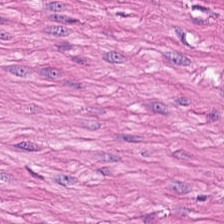H&E stain · brightfield microscopy — Q: What is shown here?
A: It is smooth muscle.
